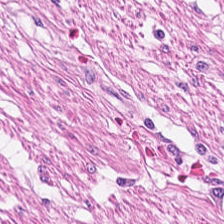Hematoxylin-and-eosin stained section.
The tissue here is muscularis.
